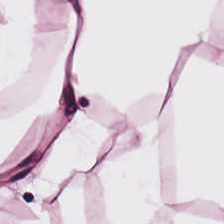H&E-stained tissue section. {"tissue_type": "adipose tissue"}
